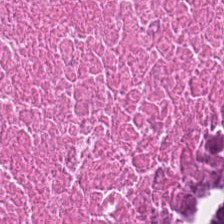H&E stain.
Q: What tissue is shown?
A: This is debris.
